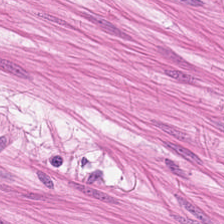H&E.
Q: What type of tissue is this?
A: Smooth muscle.
